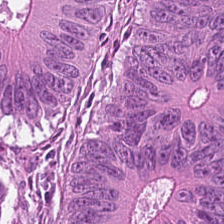H&E. 224×224 px tile.
The predominant tissue is adenocarcinoma.
